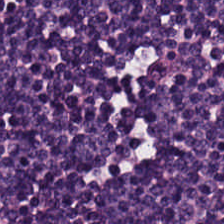Stain: H&E.
Preparation: FFPE.
Acquisition: brightfield microscopy.
Tissue type: lymphocyte aggregate.
